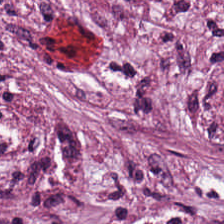Brightfield microscopy. H&E stain.
Predominantly tumor stroma.
